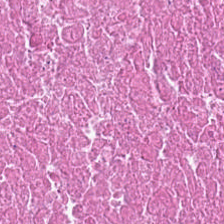H&E — necrotic debris.
